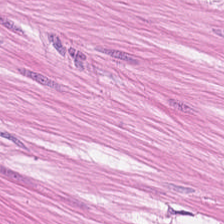FFPE tissue section; brightfield; hematoxylin-and-eosin stained section.
Impression — smooth-muscle tissue.
